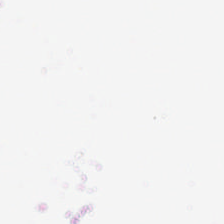Brightfield; H&E-stained tissue section.
No tissue present; background only.
